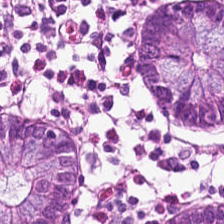Hematoxylin and eosin. WSI patch — Predominantly non-neoplastic colon mucosa.
